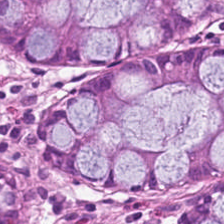Classification = non-neoplastic colon mucosa.
